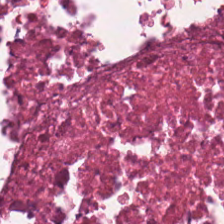224×224 px tile · hematoxylin-and-eosin stained section — Q: What is shown here?
A: The field shows cellular debris.
